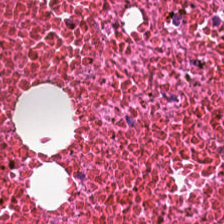H&E. The predominant tissue is cellular debris.
